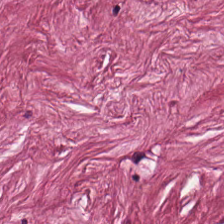H&E-stained tissue section.
Showing desmoplastic stroma.
